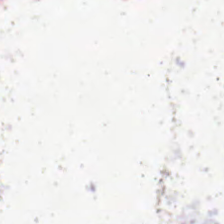H&E.
Content: background (no tissue).
